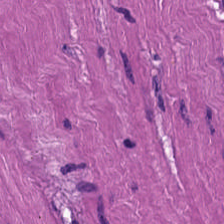Smooth muscle.
